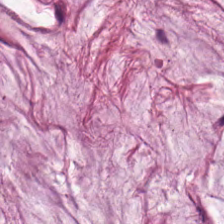224×224 pixel tile; hematoxylin and eosin — Mucin.
